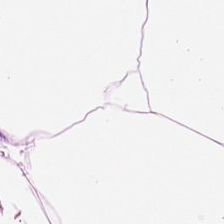H&E stain — The predominant tissue is adipose.
